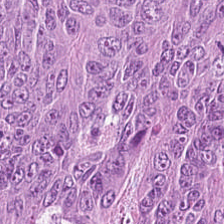H&E-stained tissue section.
Q: What type of tissue is this?
A: This is colorectal adenocarcinoma.
